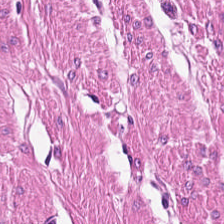Brightfield. H&E.
Q: What does this patch show?
A: This is smooth muscle.
